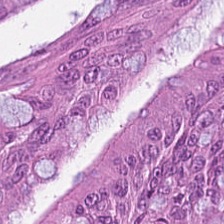FFPE · H&E-stained tissue section · 0.5 microns per pixel. Tissue class: tumor epithelium.
